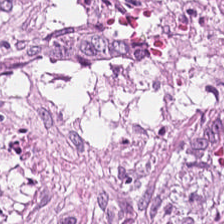Hematoxylin-and-eosin stained section.
{"tissue_type": "tumor stroma"}
